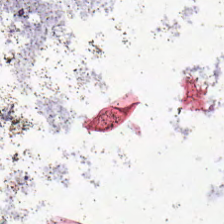Q: What does this patch show?
A: It is background (no tissue).
